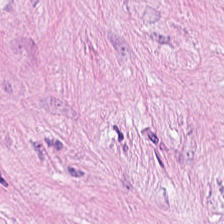H&E — This field is tumor stroma.
